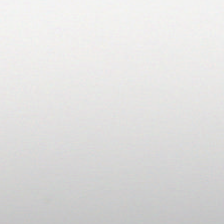H&E-stained tissue section.
Content: background.
